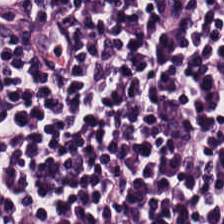Hematoxylin-and-eosin stained section. Q: What tissue type is shown here?
A: Lymphocytic infiltrate.
